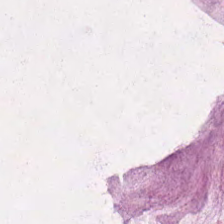H&E · brightfield microscopy. The predominant tissue is mucus.
